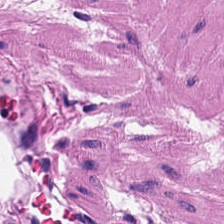Hematoxylin-and-eosin stained section.
This field is muscularis.
